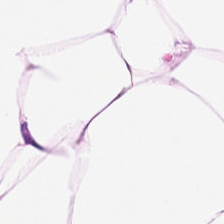Hematoxylin-and-eosin stained section. Predominant tissue: adipocytes.
